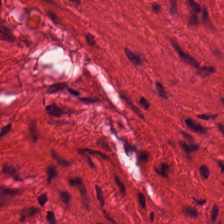Q: What type of tissue is this?
A: Muscularis.
